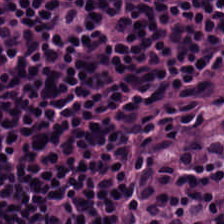H&E stain; 224×224 px tile — Q: What type of tissue is this?
A: It is lymphocytes.
